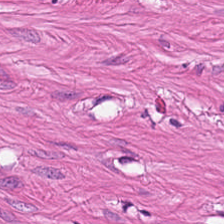224×224 px patch · hematoxylin and eosin.
This patch shows smooth muscle.
